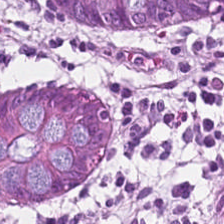Whole-slide-image patch. H&E stain. 224×224 px tile.
{"tissue_type": "benign colonic mucosa"}
